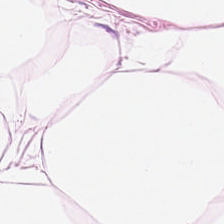Hematoxylin-and-eosin stained section. FFPE tissue section.
Tissue = adipose.
